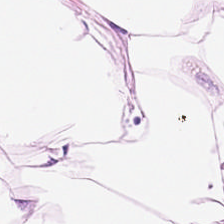Hematoxylin-and-eosin stained section — This patch shows fat tissue.
